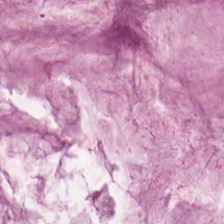Stain: hematoxylin-and-eosin stained section.
Tissue type: mucus.
